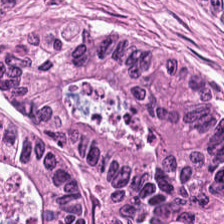H&E-stained tissue section — The predominant tissue is malignant epithelium.
